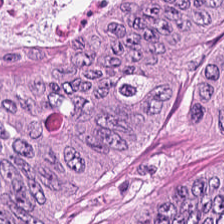20× equivalent magnification; hematoxylin and eosin; brightfield — Predominantly malignant epithelium.
